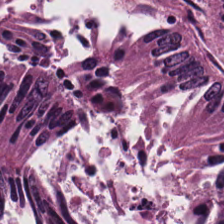224×224 pixel tile; H&E; 20× equivalent magnification.
{"tissue_type": "colorectal adenocarcinoma epithelium"}
